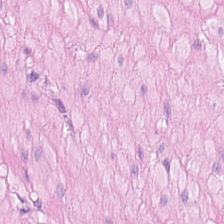Hematoxylin and eosin — Impression — smooth muscle.
